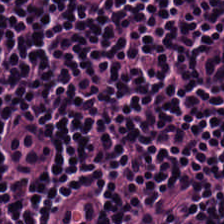Histology — lymphoid infiltrate.
